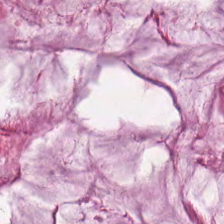Stain: H&E-stained tissue section.
Tissue type: mucus.
